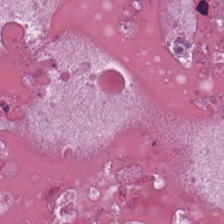Stain: hematoxylin and eosin.
Classification: necrotic debris.
